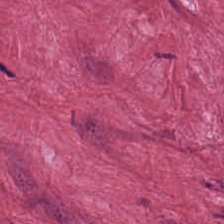H&E. Predominant tissue — cancer-associated stroma.
